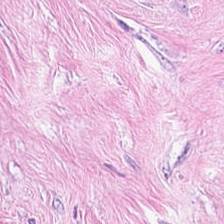0.5 microns per pixel. Formalin-fixed paraffin-embedded section. Hematoxylin and eosin. This field is tumor stroma.
